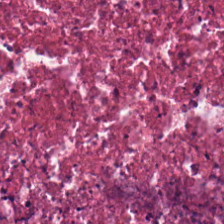WSI patch · H&E.
This field is debris.
